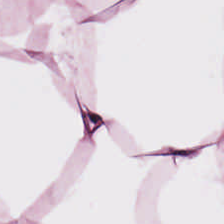H&E-stained tissue section — Tissue class — adipose.
